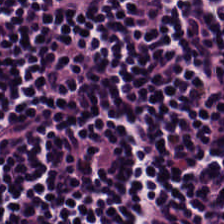H&E patch showing lymphocytic infiltrate.
